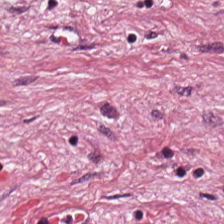H&E; 224×224 px tile; 0.5 µm per pixel.
Q: What does this patch show?
A: It is tumor stroma.
